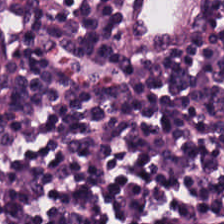FFPE. H&E stain. 0.5 microns per pixel. Finding — lymphocytic infiltrate.
